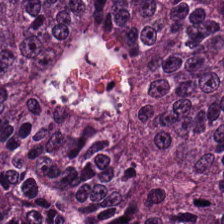Formalin-fixed paraffin-embedded section; H&E-stained tissue section — The tissue here is malignant epithelium.
